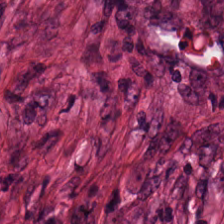Tissue class = desmoplastic stroma.
